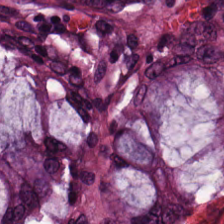H&E; WSI patch.
Tissue type = normal colonic mucosa.
